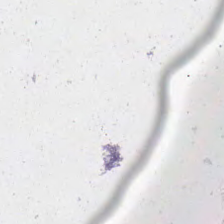Stain: H&E.
Content: no tissue.
